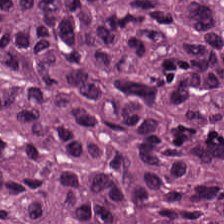Hematoxylin-and-eosin stained section · WSI patch. The predominant tissue is tumor epithelium.
